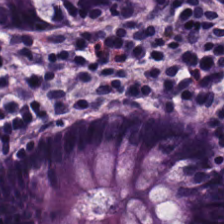H&E · FFPE.
Finding — non-neoplastic colon mucosa.
